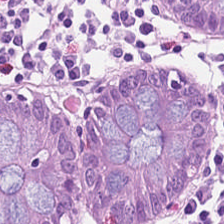H&E-stained section; the field shows normal colon mucosa.
